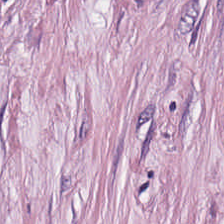H&E. This field is tumor stroma.
